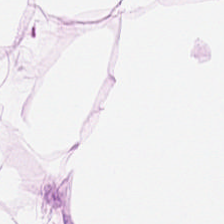H&E-stained tissue section. Finding → fat tissue.
